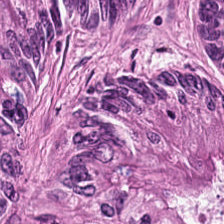H&E-stained tissue section — The classification is colorectal adenocarcinoma epithelium.
